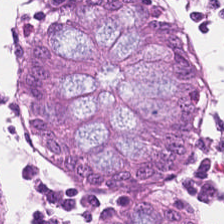H&E stain. The predominant tissue is non-neoplastic colon mucosa.
